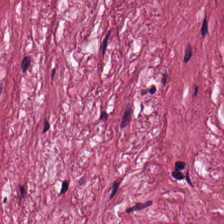H&E — Predominant tissue = tumor stroma.
